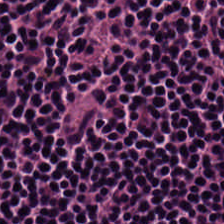Predominant tissue = lymphocytes.
